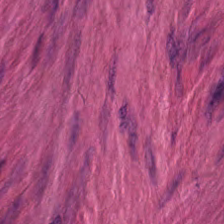Stain: H&E-stained tissue section.
Tile size: 224×224 px tile.
Tissue: smooth-muscle tissue.
